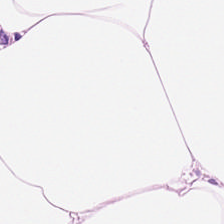224×224 px patch. H&E-stained tissue section — Tissue = adipose tissue.
